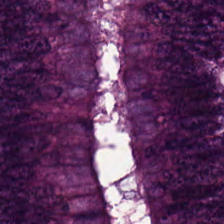224×224 pixel tile; H&E stain.
Q: What type of tissue is this?
A: This is colorectal adenocarcinoma.
